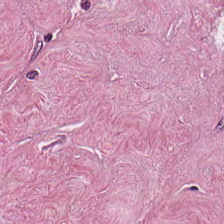Brightfield · hematoxylin-and-eosin stained section.
Predominant tissue: tumor-associated stroma.
